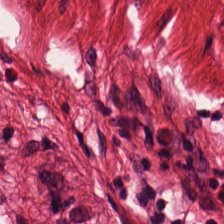H&E — Classification: smooth muscle.
